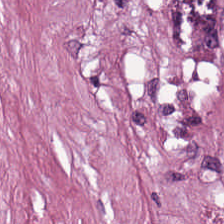Hematoxylin and eosin — Q: Classify this patch.
A: This is cancer-associated stroma.
